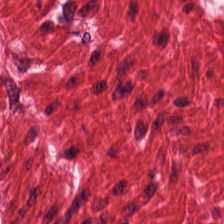Q: What type of tissue is this?
A: It is smooth-muscle tissue.
